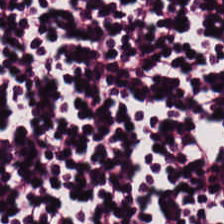0.5 µm per pixel. Hematoxylin and eosin — Tissue type = lymphocyte aggregate.
